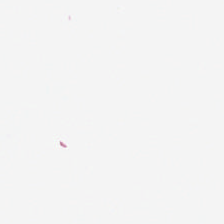Field content: empty background.
